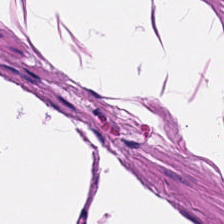H&E-stained tissue section.
The tissue type is muscularis.
